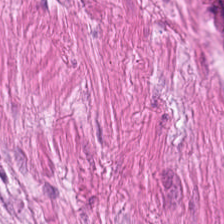H&E patch showing smooth muscle.
